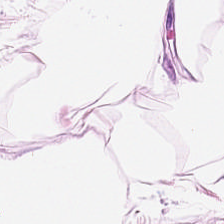H&E stain. The tissue type is adipose.
